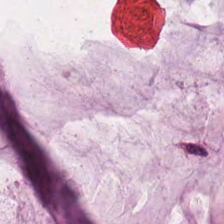H&E. The predominant tissue is mucin.
